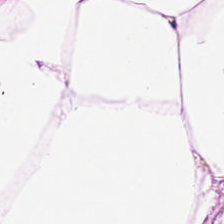224×224 px patch; H&E-stained tissue section. The predominant tissue is fat tissue.
